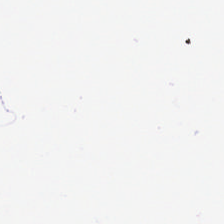H&E-stained tissue section — Empty field — background (no tissue).
